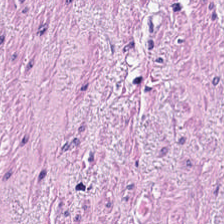H&E stain.
Q: What does this patch show?
A: The field shows smooth-muscle tissue.
